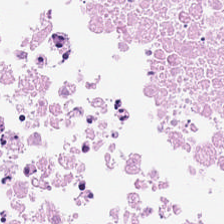Hematoxylin-and-eosin stained section.
Predominantly cellular debris.
